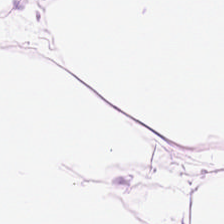Hematoxylin and eosin — Showing adipose tissue.
